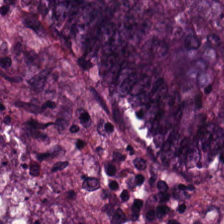The tissue type is colorectal adenocarcinoma epithelium.
